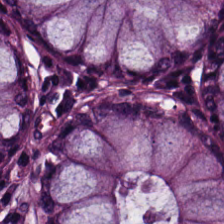224×224 px tile · H&E stain — The predominant tissue is benign colonic mucosa.
